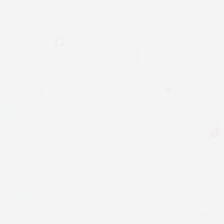Histology — empty background.
